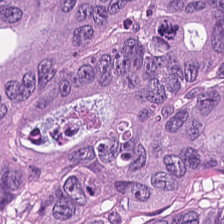Finding — adenocarcinoma.
